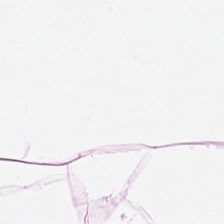Stain: H&E stain.
Resolution: 0.5 µm/px.
Tissue: fat tissue.
